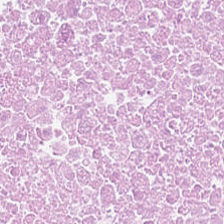Hematoxylin and eosin.
{"tissue_type": "necrotic debris"}
